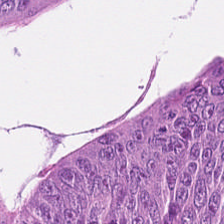{"tissue_type": "colorectal adenocarcinoma epithelium"}
